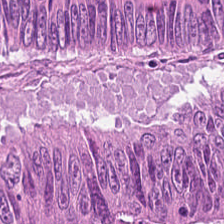H&E · whole-slide-image patch. Predominantly malignant epithelium.
